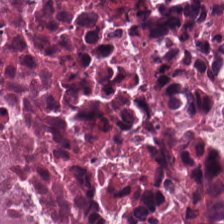H&E stain — The predominant tissue is debris.
